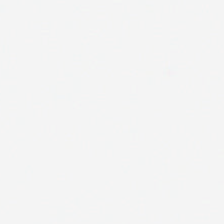Stain: hematoxylin and eosin.
Classification: no tissue.
